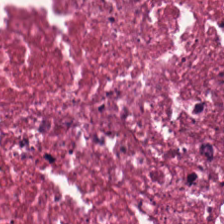H&E. 20× equivalent magnification.
{"tissue_type": "debris"}
